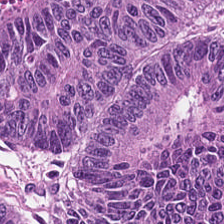Hematoxylin-and-eosin stained section.
Predominantly tumor epithelium.
